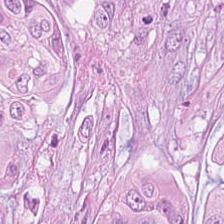Hematoxylin and eosin — Adenocarcinoma.
